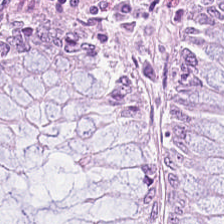Formalin-fixed paraffin-embedded section; H&E-stained tissue section. This field is non-neoplastic colon mucosa.
